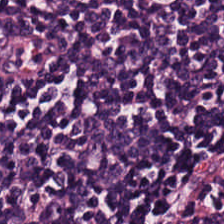The tissue here is lymphocytes.
